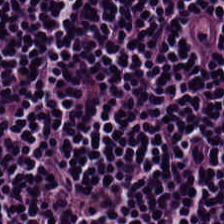Brightfield microscopy; 0.5 microns per pixel; H&E.
Q: Classify this patch.
A: Lymphocytes.
